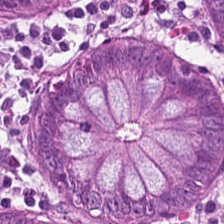H&E-stained tissue section. Predominantly non-neoplastic colon mucosa.
